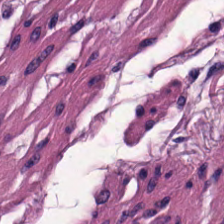Q: What is shown in this field?
A: This is smooth-muscle tissue.
